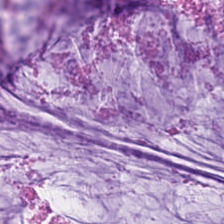Stain: H&E stain.
Tissue type: mucin.
